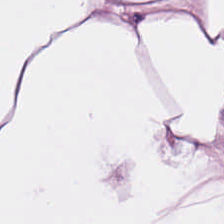H&E-stained tissue section. Predominantly adipose tissue.
